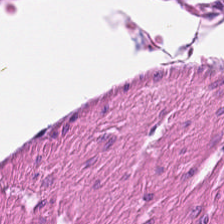Q: What tissue is shown?
A: The field shows smooth-muscle tissue.
